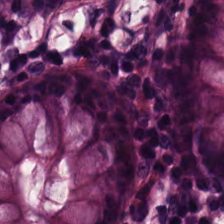224×224 px patch. H&E stain.
{"tissue_type": "benign colonic mucosa"}
